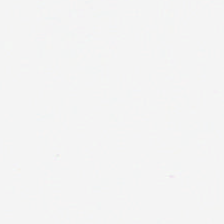Hematoxylin and eosin — Content = background (no tissue).
